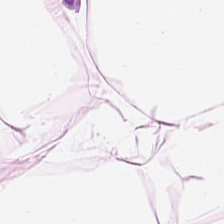Stain: hematoxylin and eosin.
Resolution: 0.5 µm/px.
Acquisition: WSI patch.
Classification: adipose.
